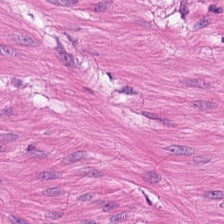0.5 microns per pixel; hematoxylin-and-eosin stained section; brightfield. The tissue class is muscularis.
